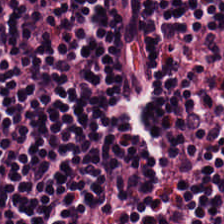H&E stain. FFPE tissue section. 224×224 px tile. Tissue — lymphocyte aggregate.
